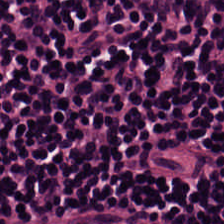H&E; WSI patch. Tissue type — lymphocytic infiltrate.
